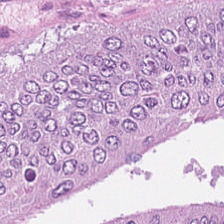224×224 px tile; 0.5 µm/px; H&E — The tissue here is tumor epithelium.
